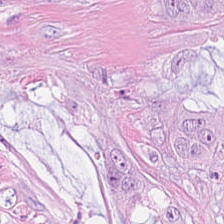H&E stain.
Tissue type: colorectal adenocarcinoma.
